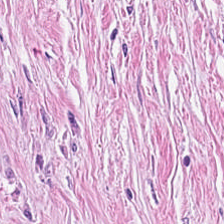Hematoxylin-and-eosin stained section.
{"tissue_type": "desmoplastic stroma"}
